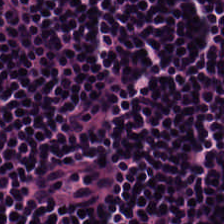Stain: hematoxylin-and-eosin stained section.
Tissue: lymphoid infiltrate.
